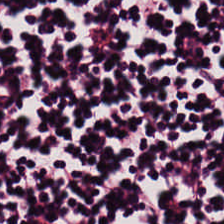Hematoxylin and eosin. Finding → lymphocytic infiltrate.
